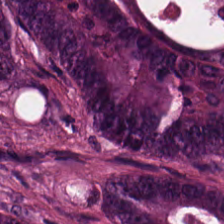H&E stain. Tissue = colorectal adenocarcinoma epithelium.
